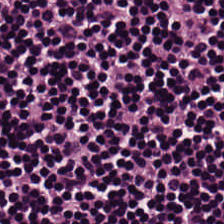H&E-stained tissue section. 224×224 px tile.
The tissue here is lymphocyte aggregate.
